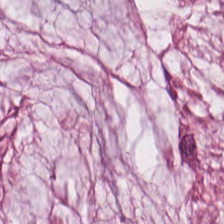Whole-slide-image patch. Hematoxylin and eosin. This patch shows extracellular mucin.
